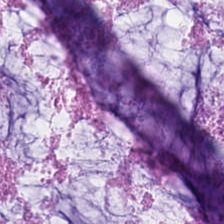Hematoxylin-and-eosin stained section. Histology — mucin.
